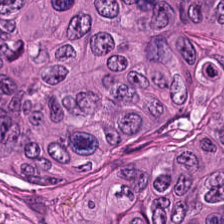Stain: H&E-stained tissue section.
Classification: colorectal adenocarcinoma epithelium.
